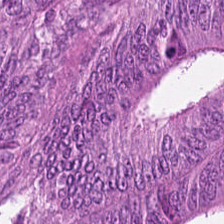Predominant tissue: malignant epithelium.
